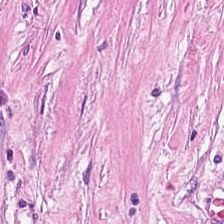224×224 px tile. H&E stain — Impression → tumor-associated stroma.
